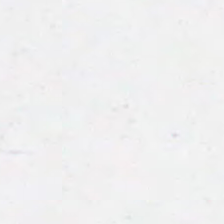H&E. Brightfield.
Q: What does this patch show?
A: The field shows empty background.
